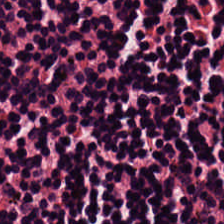Hematoxylin-and-eosin stained section.
The tissue here is lymphocytes.
